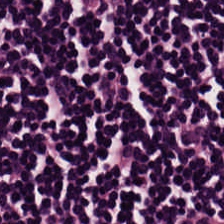{"tissue_type": "lymphocytic infiltrate"}
